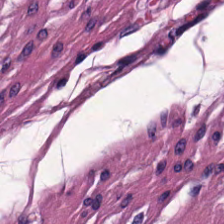H&E-stained section; the field shows smooth muscle.
